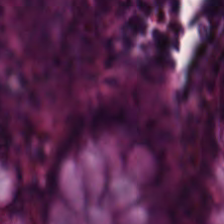H&E stain. {"tissue_type": "normal colon mucosa"}
